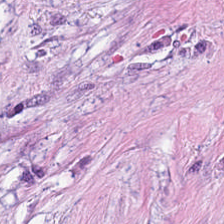224×224 px tile · hematoxylin-and-eosin stained section — {"tissue_type": "desmoplastic stroma"}
